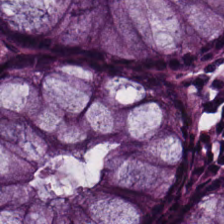Hematoxylin and eosin — Tissue type = benign colonic mucosa.
